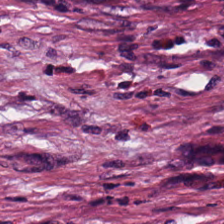H&E stain. Formalin-fixed paraffin-embedded section. Showing cancer-associated stroma.
